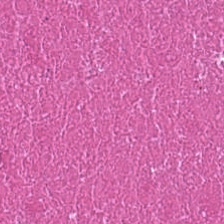Brightfield. Hematoxylin-and-eosin stained section. Formalin-fixed paraffin-embedded section. The tissue type is debris.
